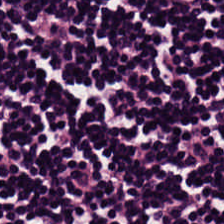H&E-stained tissue section showing lymphocytes.
